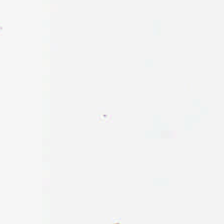H&E-stained tissue section; 224×224 px patch — Classification = background (no tissue).
